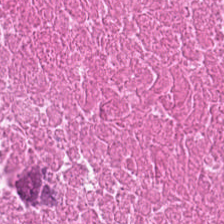Hematoxylin and eosin.
Q: What is shown in this field?
A: The field shows cellular debris.
